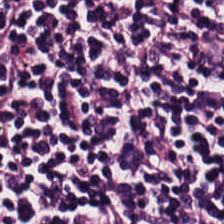H&E-stained tissue section. The predominant tissue is lymphocytes.
